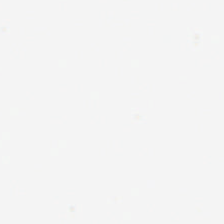H&E-stained tissue section — Empty field — background.
